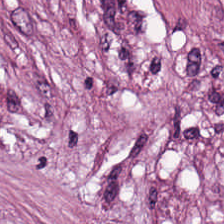H&E-stained tissue section. This patch shows desmoplastic stroma.
